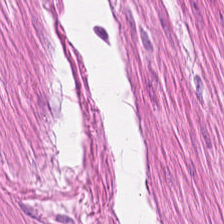Stain: H&E.
Classification: smooth-muscle tissue.
